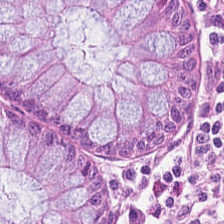H&E; whole-slide-image patch. Q: What tissue is shown?
A: Normal colonic mucosa.
